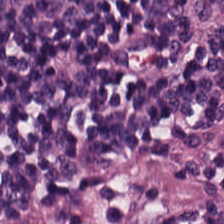H&E stain; 224×224 pixel tile — Impression — lymphocytic infiltrate.
